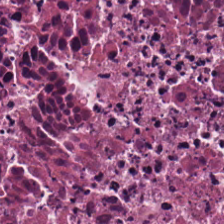Tissue type = necrotic debris.
